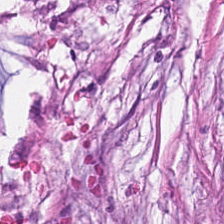H&E.
Q: What type of tissue is this?
A: This is cancer-associated stroma.
